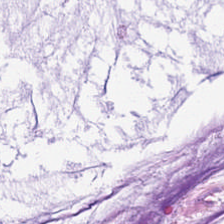Histology → mucin.
